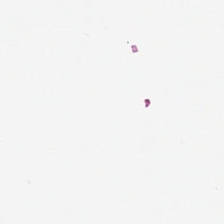This field is background (no tissue).
